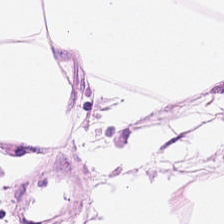H&E-stained section; the field shows adipose.
